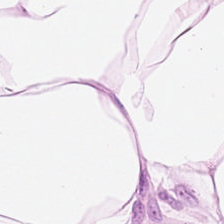{"tissue_type": "adipose tissue"}
